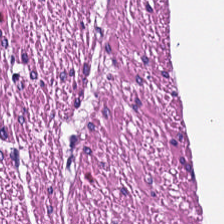H&E. The predominant tissue is smooth muscle.
